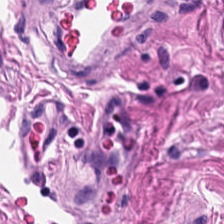0.5 µm per pixel; hematoxylin-and-eosin stained section.
Q: What does this patch show?
A: This is muscularis.
